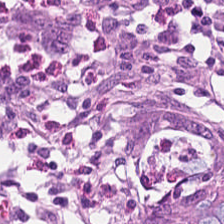Hematoxylin and eosin.
{"tissue_type": "normal colonic mucosa"}
